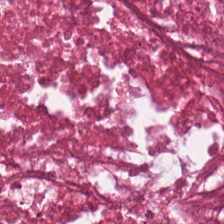WSI patch; H&E; 224×224 pixel tile. This field is cellular debris.
